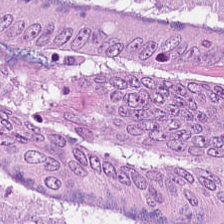Hematoxylin-and-eosin stained section.
Impression → adenocarcinoma.
